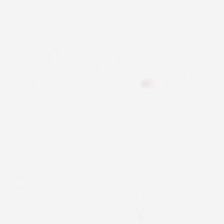Whole-slide-image patch · H&E-stained tissue section · 0.5 µm per pixel.
Empty field — background.
